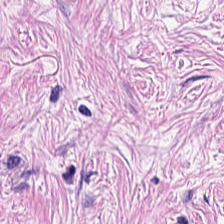Hematoxylin-and-eosin stained section.
Predominant tissue: desmoplastic stroma.
